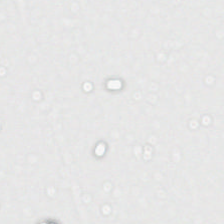The field content is no tissue.
